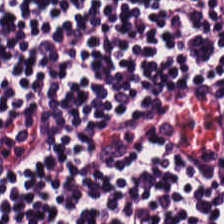Hematoxylin-and-eosin stained section. Q: What is shown in this field?
A: This is lymphocyte aggregate.
